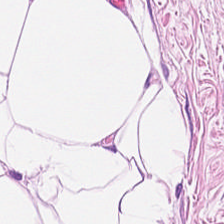H&E stain. Predominant tissue: adipose tissue.
